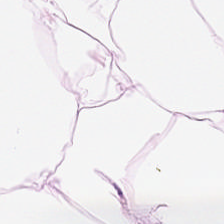Stain: H&E stain.
Acquisition: whole-slide-image patch.
Resolution: 0.5 microns per pixel.
Predominant tissue: fat tissue.
